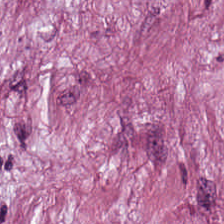Stain: hematoxylin-and-eosin stained section.
Predominant tissue: tumor stroma.
